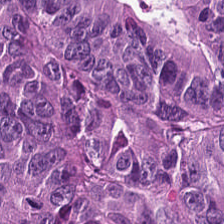Hematoxylin-and-eosin stained section · 0.5 µm/px · formalin-fixed paraffin-embedded section. The tissue type is malignant epithelium.
